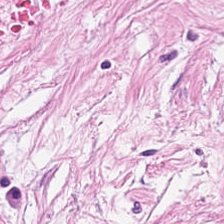Hematoxylin-and-eosin stained section — Showing tumor-associated stroma.
